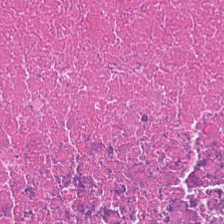Hematoxylin-and-eosin section: cellular debris.
